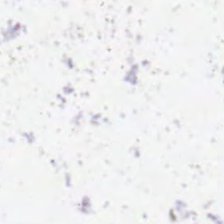Hematoxylin-and-eosin stained section. Empty field — background (no tissue).
